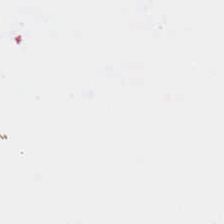Stain: hematoxylin and eosin.
Content: background (no tissue).
